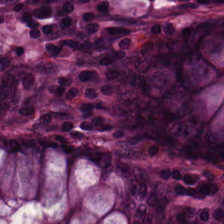Tissue — benign colonic mucosa.
